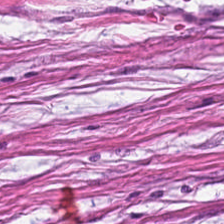0.5 microns per pixel · FFPE · hematoxylin-and-eosin stained section — The tissue type is tumor stroma.
